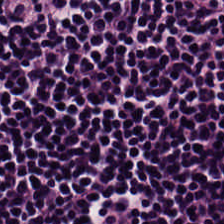Tissue — lymphoid infiltrate.
